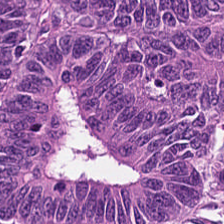Hematoxylin-and-eosin stained section; 0.5 µm per pixel.
Tissue = colorectal adenocarcinoma.
